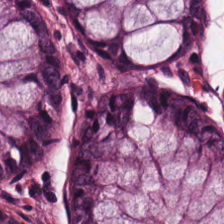H&E-stained tissue section; brightfield microscopy; 20× equivalent magnification — Classification — benign colonic mucosa.
